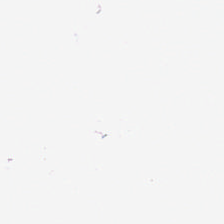H&E-stained tissue section · whole-slide-image patch · 224×224 pixel tile.
Q: Classify this patch.
A: Background (no tissue).
